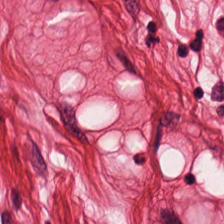Hematoxylin-and-eosin stained section — This patch shows smooth muscle.
